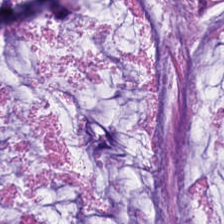Hematoxylin and eosin. Impression — mucin.
